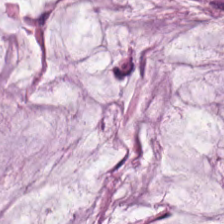H&E. 224×224 px patch. The classification is mucus.
